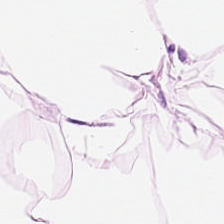20× equivalent magnification. 224×224 pixel tile. Hematoxylin-and-eosin stained section — Tissue class: adipose tissue.
